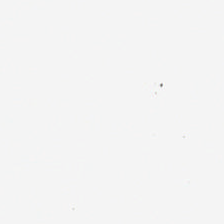Hematoxylin and eosin. Classification: background.
